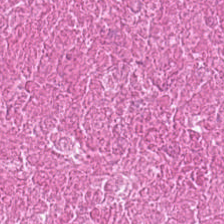H&E — Q: Classify this patch.
A: The field shows cellular debris.
